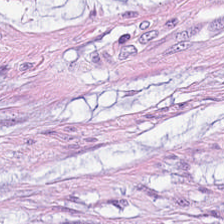H&E stain. 224×224 pixel tile. FFPE — Classification = mucus.
